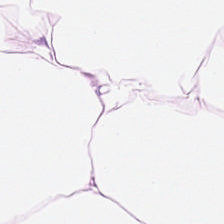Hematoxylin-and-eosin stained section. Predominantly adipose.
